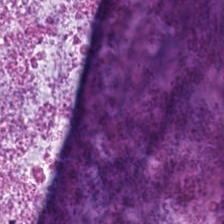Stain: H&E-stained tissue section.
Resolution: 0.5 µm per pixel.
Acquisition: brightfield.
Classification: mucin.
